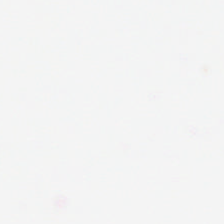Hematoxylin and eosin. Formalin-fixed paraffin-embedded section.
No tissue present; background only.
